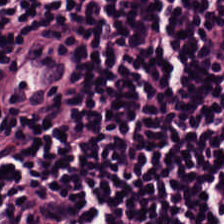H&E — This field is lymphocyte aggregate.
